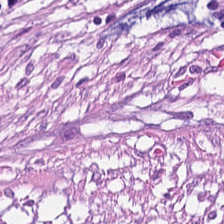Showing tumor stroma.
